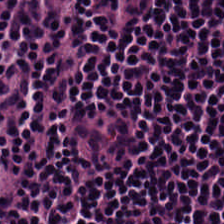Hematoxylin-and-eosin stained section. Impression — lymphoid infiltrate.
